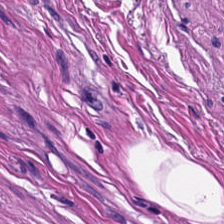This field is muscularis.
